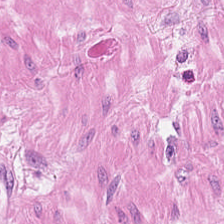Tissue — smooth-muscle tissue.
